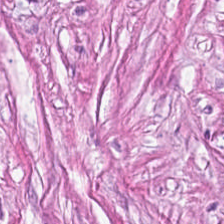Showing tumor stroma.
